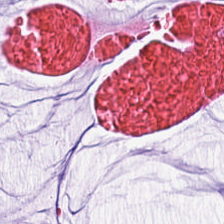H&E; 224×224 px patch — Impression → mucin.
